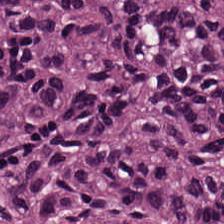H&E · whole-slide-image patch — Tissue class — colorectal adenocarcinoma epithelium.
